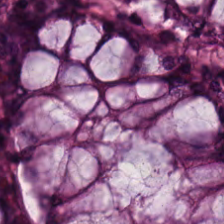20× equivalent magnification. Hematoxylin-and-eosin stained section. Tissue type = normal colonic mucosa.
